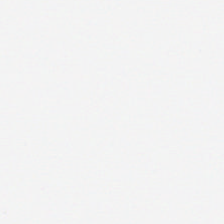Hematoxylin and eosin.
Content — background (no tissue).
